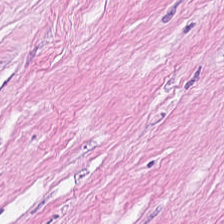H&E. The tissue here is tumor stroma.
